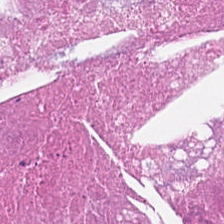The predominant tissue is necrotic debris.
